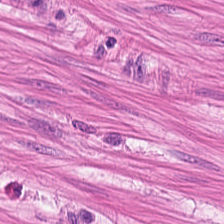Stain: H&E-stained tissue section.
Tissue: smooth-muscle tissue.
